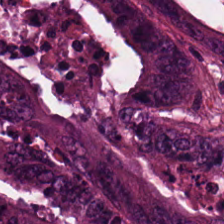0.5 µm/px · H&E — The classification is adenocarcinoma.
